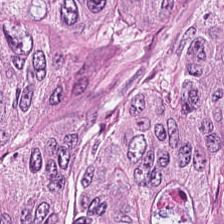H&E — Tissue = malignant epithelium.
